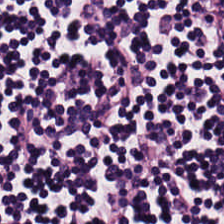H&E-stained tissue section — Q: What type of tissue is this?
A: This is lymphoid infiltrate.
